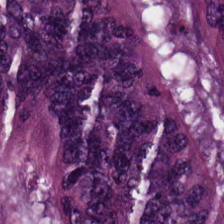Stain: H&E-stained tissue section.
Tissue type: tumor epithelium.
